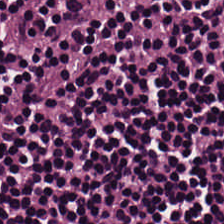H&E — The classification is lymphocytic infiltrate.
